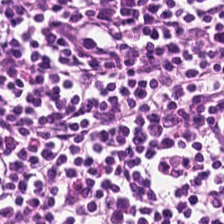H&E stain.
The predominant tissue is lymphocyte aggregate.
